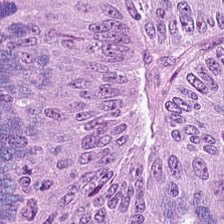H&E · 0.5 µm per pixel — This field is colorectal adenocarcinoma.
